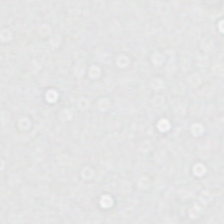Hematoxylin and eosin.
Q: Classify this patch.
A: Background (no tissue).
